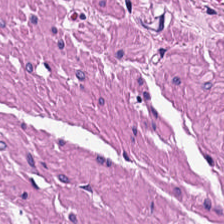224×224 px tile; hematoxylin-and-eosin stained section — Q: What type of tissue is this?
A: The field shows smooth muscle.
